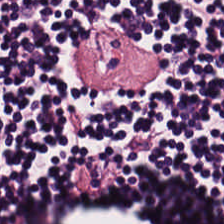Brightfield · H&E-stained tissue section · 224×224 px tile.
Predominantly lymphocyte aggregate.
